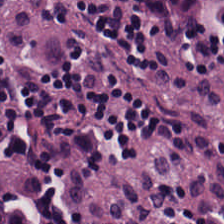Hematoxylin and eosin.
Tissue class = lymphocytes.
